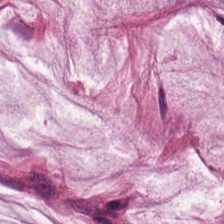Showing extracellular mucin.
